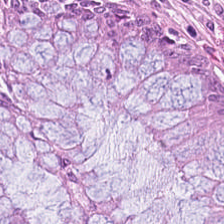H&E-stained tissue section — Impression — non-neoplastic colon mucosa.
